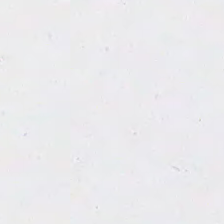Formalin-fixed paraffin-embedded section; 20× equivalent magnification; H&E stain.
The content is background.
